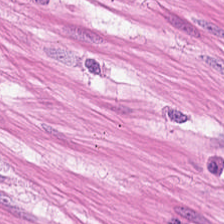H&E-stained tissue section; FFPE tissue section — The tissue type is smooth muscle.
